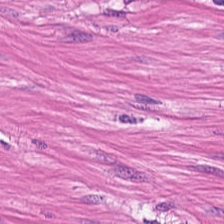H&E; 0.5 µm/px; 224×224 px tile — Tissue type = muscularis.
